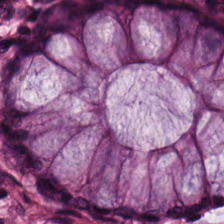Hematoxylin-and-eosin stained section.
Histology — normal colonic mucosa.
